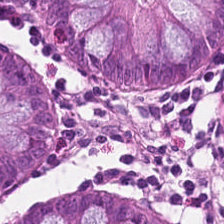0.5 µm/px. Hematoxylin and eosin — This patch shows normal colonic mucosa.
